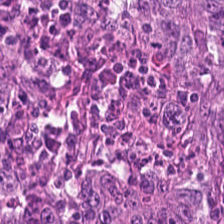H&E-stained tissue section; brightfield microscopy — Classification: malignant epithelium.
